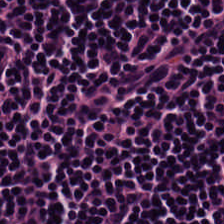Tissue type — lymphocytes.
